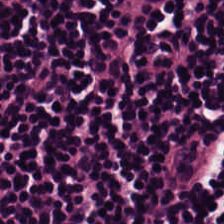Stain: hematoxylin and eosin.
Preparation: FFPE tissue section.
Classification: lymphocyte aggregate.
